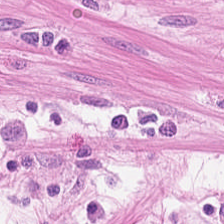H&E. 20× equivalent magnification. FFPE tissue section.
Tissue = muscularis.
